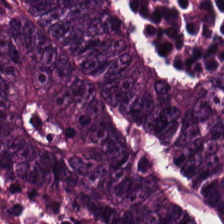H&E stain — Q: What does this patch show?
A: The field shows adenocarcinoma.
